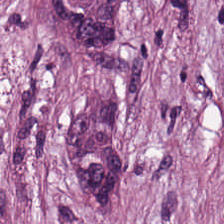H&E; 20× equivalent magnification. This patch shows desmoplastic stroma.
